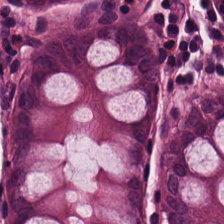Hematoxylin and eosin.
This patch shows normal colonic mucosa.
